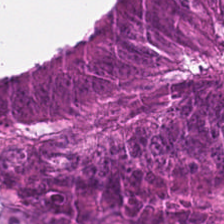Hematoxylin and eosin. 224×224 pixel tile. Brightfield — Tissue — malignant epithelium.
